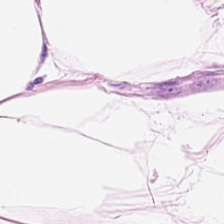H&E-stained tissue section showing adipocytes.
